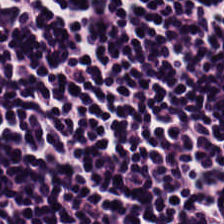H&E — Q: What type of tissue is this?
A: The field shows lymphocyte aggregate.
